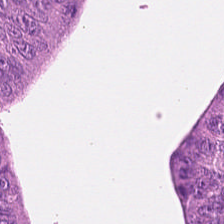The tissue here is malignant epithelium.
